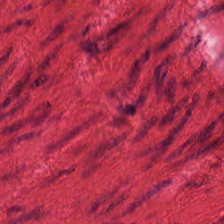20× equivalent magnification. H&E-stained tissue section. Brightfield microscopy. Q: What type of tissue is this?
A: Muscularis.
